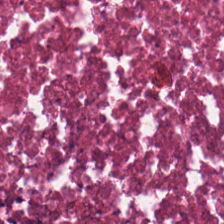Predominant tissue — necrotic debris.
